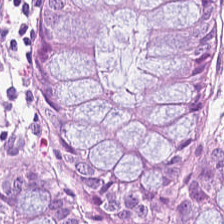Whole-slide-image patch; hematoxylin-and-eosin stained section. Finding — normal colon mucosa.
